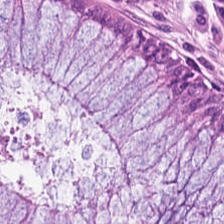{"tissue_type": "non-neoplastic colon mucosa"}
